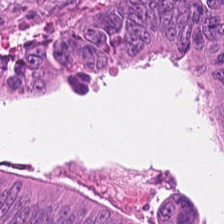Hematoxylin and eosin.
Q: What does this patch show?
A: It is colorectal adenocarcinoma.
